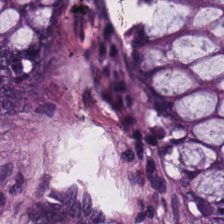224×224 px patch. Hematoxylin and eosin. {"tissue_type": "normal colonic mucosa"}
